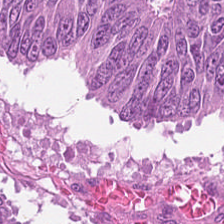{"tissue_type": "tumor epithelium"}
